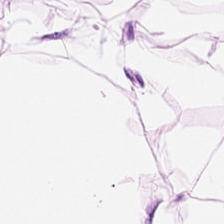This field is adipose.
